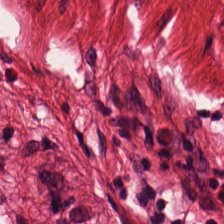Stain: H&E.
Tile size: 224×224 pixel tile.
Predominant tissue: smooth muscle.
